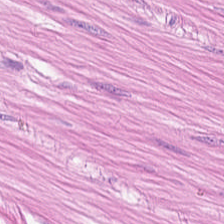Hematoxylin-and-eosin stained section.
Predominant tissue — smooth-muscle tissue.
